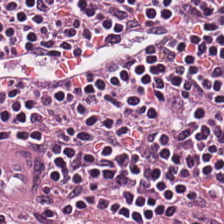Hematoxylin-and-eosin stained section. Classification: lymphocytic infiltrate.
